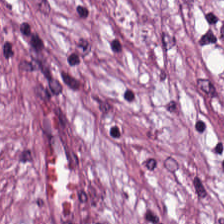Stain: H&E stain.
Tissue type: tumor-associated stroma.
